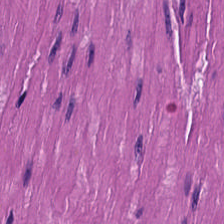0.5 µm per pixel · 224×224 px tile · H&E-stained tissue section. Q: What is shown here?
A: It is muscularis.
